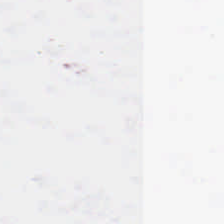H&E — Field content: empty background.
